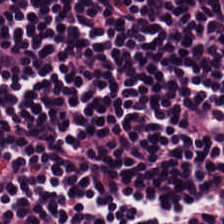H&E-stained tissue section — Classification — lymphocyte aggregate.
